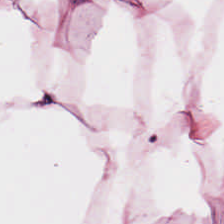H&E; 0.5 microns per pixel.
Tissue type: adipose tissue.
